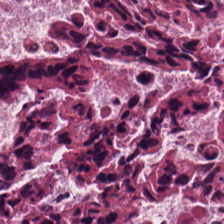Stain: hematoxylin and eosin.
Tissue type: necrotic debris.
